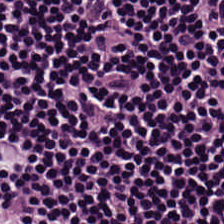Hematoxylin and eosin. The predominant tissue is lymphoid infiltrate.
